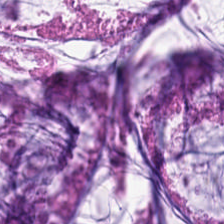Stain: H&E stain.
Tissue type: extracellular mucin.
